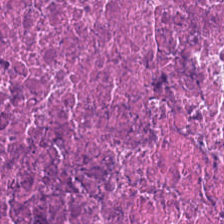Tissue type: necrotic debris.
